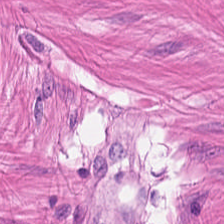{"tissue_type": "smooth muscle"}
